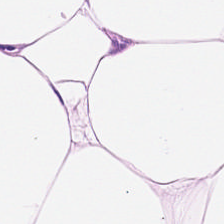H&E stain; 0.5 µm per pixel. Adipocytes.
